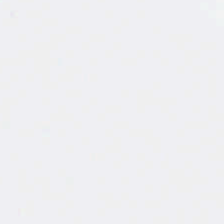Hematoxylin and eosin — Histology — empty background.
